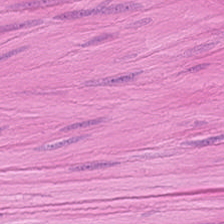Tissue class = smooth-muscle tissue.
